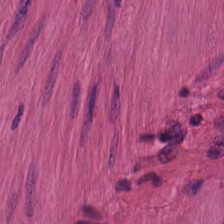Q: What type of tissue is this?
A: This is smooth muscle.
